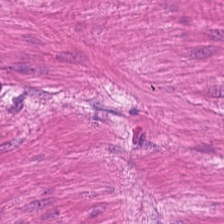H&E.
This patch shows smooth-muscle tissue.
